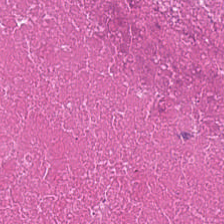Histology → necrotic debris.
